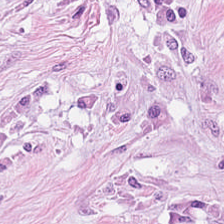H&E-stained tissue section showing tumor stroma.
